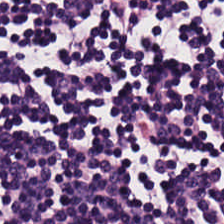Stain: hematoxylin and eosin.
Classification: lymphoid infiltrate.
